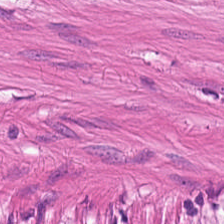224×224 px patch; hematoxylin-and-eosin stained section. Tissue: muscularis.
